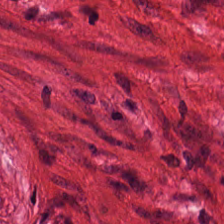Hematoxylin and eosin.
The tissue class is smooth-muscle tissue.
